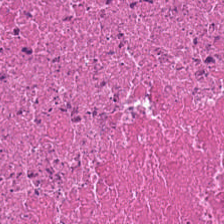Stain: H&E-stained tissue section.
Predominant tissue: debris.
